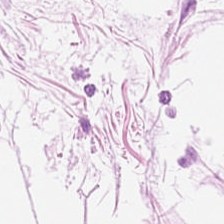Hematoxylin and eosin — This field is adipose tissue.
